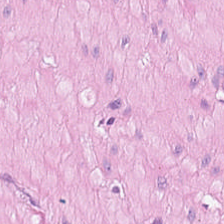The predominant tissue is smooth muscle.
